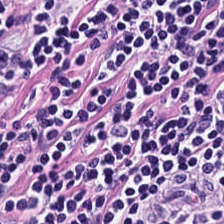Hematoxylin-and-eosin stained section. Tissue type: lymphoid infiltrate.
